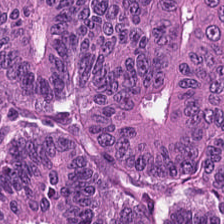Hematoxylin and eosin. Predominantly adenocarcinoma.
